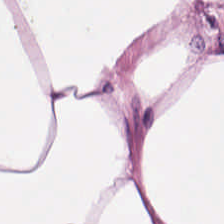H&E stain — Tissue class — adipose tissue.
